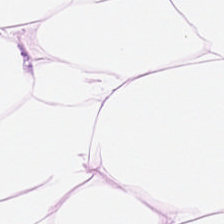H&E-stained tissue section; formalin-fixed paraffin-embedded section; WSI patch.
Predominantly adipocytes.
